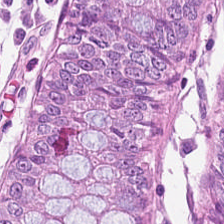Stain: H&E stain.
Acquisition: whole-slide-image patch.
Preparation: formalin-fixed paraffin-embedded section.
Predominant tissue: normal colonic mucosa.
